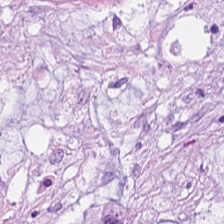Hematoxylin and eosin — Mucin.
